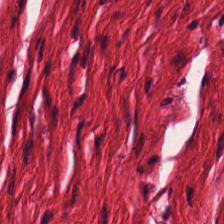224×224 px tile · formalin-fixed paraffin-embedded section · hematoxylin-and-eosin stained section — {"tissue_type": "smooth muscle"}
